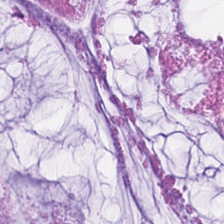0.5 microns per pixel · 224×224 px tile · hematoxylin and eosin.
This patch shows extracellular mucin.
